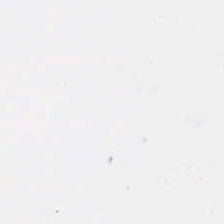FFPE tissue section · hematoxylin-and-eosin stained section.
Background — no tissue in this field.
